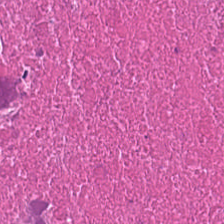H&E stain. The tissue here is necrotic debris.
